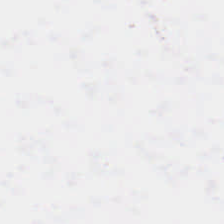Brightfield microscopy. H&E-stained tissue section. 0.5 µm per pixel.
This field is background (no tissue).
